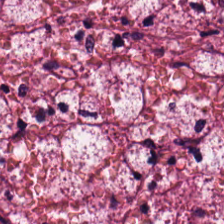224×224 pixel tile · H&E-stained tissue section.
Q: What tissue is shown?
A: The field shows cancer-associated stroma.
